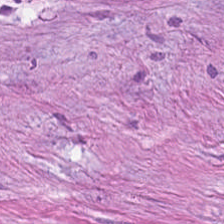H&E. 20× equivalent magnification. Predominantly cancer-associated stroma.
